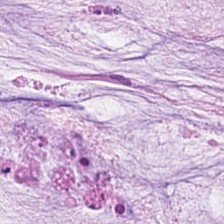Hematoxylin and eosin. 0.5 µm per pixel. FFPE tissue section.
Predominantly mucin.
